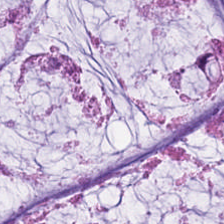H&E stain.
Histology — mucus.
